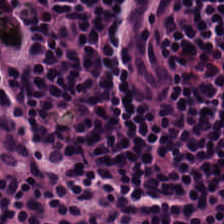H&E-stained tissue section.
Q: What is the predominant tissue type?
A: This is lymphocytes.
